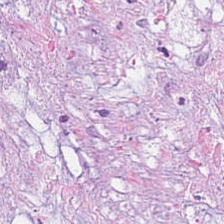WSI patch · formalin-fixed paraffin-embedded section · hematoxylin-and-eosin stained section. Classification: mucin.
